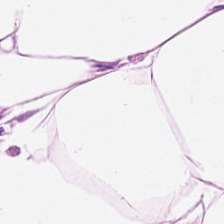Hematoxylin and eosin — Predominantly fat tissue.
